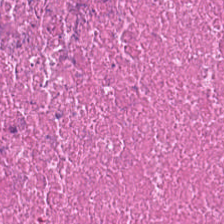H&E stain.
Debris.
